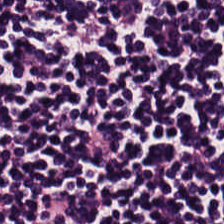Histology — lymphocytes.
